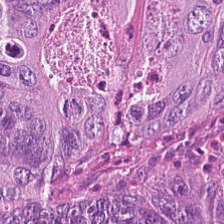Hematoxylin and eosin — Malignant epithelium.
